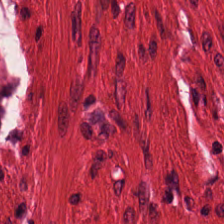H&E stain — Tissue class — smooth muscle.
